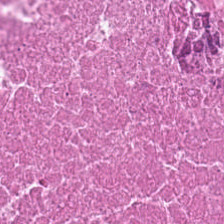FFPE tissue section · hematoxylin and eosin · 224×224 pixel tile. The classification is debris.
